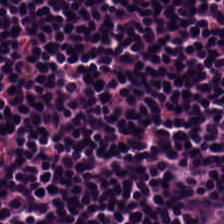Hematoxylin-and-eosin stained section · brightfield · FFPE.
This field is lymphocyte aggregate.
